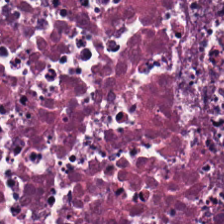Hematoxylin and eosin. This field is necrotic debris.
